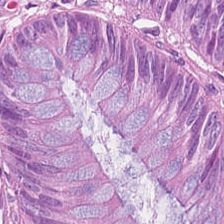224×224 px patch. Brightfield microscopy. H&E stain — Finding — tumor epithelium.
